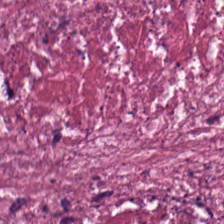Formalin-fixed paraffin-embedded section · H&E stain. Debris.
